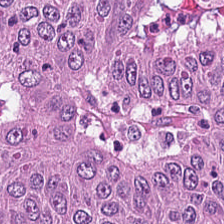Hematoxylin-and-eosin stained section; whole-slide-image patch.
{"tissue_type": "malignant epithelium"}
